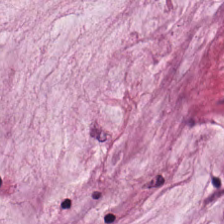Hematoxylin-and-eosin stained section · FFPE.
Tissue — mucus.
